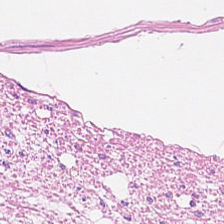Stain: H&E stain.
Tissue type: smooth muscle.
